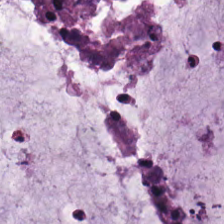Hematoxylin and eosin.
Tissue: mucin.
